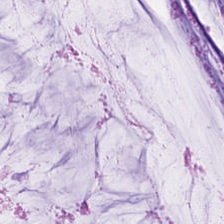224×224 pixel tile. 0.5 µm/px. H&E stain.
The tissue is mucus.
